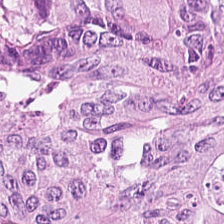The tissue here is malignant epithelium.
